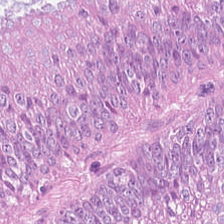H&E-stained tissue section. This patch shows colorectal adenocarcinoma.
